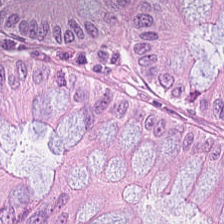Stain: H&E-stained tissue section.
Tile size: 224×224 pixel tile.
Tissue: benign colonic mucosa.
